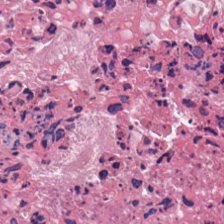Stain: hematoxylin and eosin.
Classification: debris.
